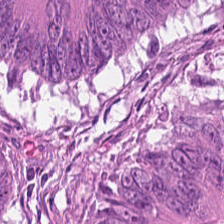Stain: hematoxylin-and-eosin stained section.
Tissue type: colorectal adenocarcinoma epithelium.
